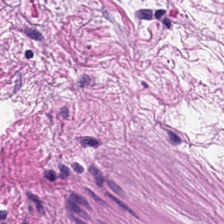Whole-slide-image patch · hematoxylin and eosin — Finding — muscularis.
